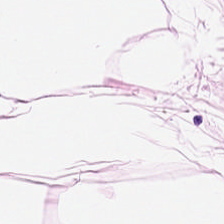Brightfield. H&E. FFPE tissue section.
Q: What is shown here?
A: The field shows adipocytes.
